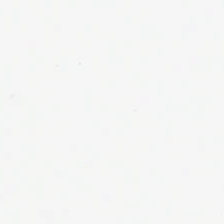Hematoxylin-and-eosin stained section — Q: What is shown here?
A: The field shows no tissue.
